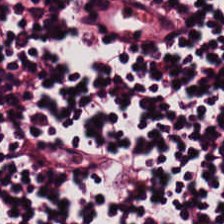Hematoxylin and eosin.
The tissue class is lymphocyte aggregate.
